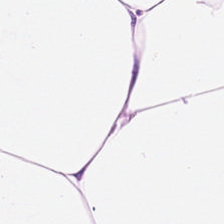H&E-stained tissue section; 224×224 px patch; WSI patch.
Histology — adipocytes.
